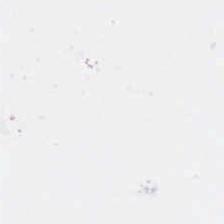Stain: hematoxylin-and-eosin stained section.
Resolution: 0.5 µm per pixel.
Preparation: FFPE.
Field content: background (no tissue).
